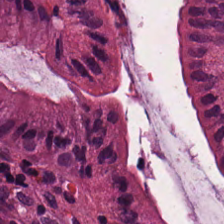Stain: hematoxylin and eosin.
Preparation: formalin-fixed paraffin-embedded section.
Tissue type: non-neoplastic colon mucosa.
